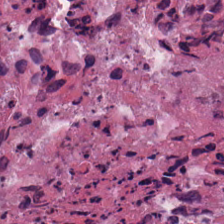Hematoxylin and eosin. 224×224 px tile. Formalin-fixed paraffin-embedded section — Q: Identify the tissue.
A: Cellular debris.
